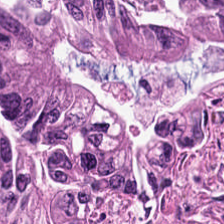Hematoxylin and eosin. Impression — colorectal adenocarcinoma.
